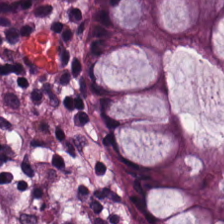H&E-stained tissue section. Showing benign colonic mucosa.
